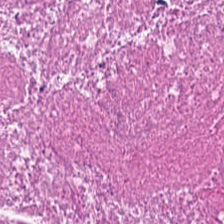H&E — debris.
